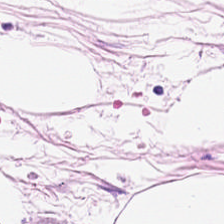FFPE · brightfield microscopy · H&E-stained tissue section. Tissue type = adipose tissue.
